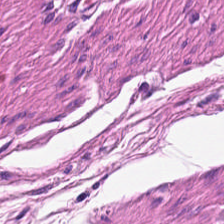Tissue type: smooth muscle.
